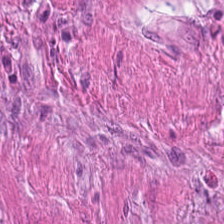H&E-stained tissue section — This patch shows smooth muscle.
